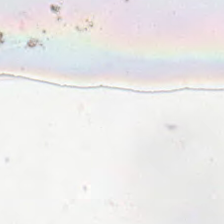Background — no tissue in this field.
